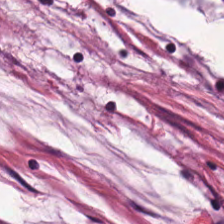0.5 µm/px; H&E.
Impression → extracellular mucin.
